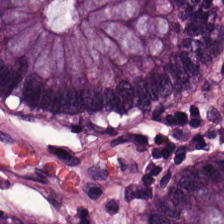The tissue type is normal colon mucosa.
